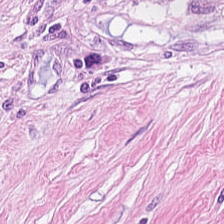0.5 microns per pixel. H&E stain. 224×224 pixel tile. Finding → tumor-associated stroma.
